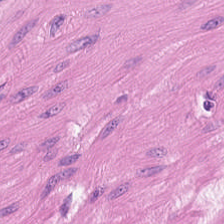Predominant tissue = muscularis.
